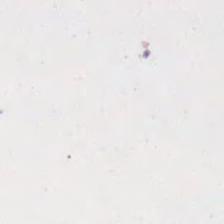Brightfield microscopy · 0.5 µm per pixel · hematoxylin and eosin.
Q: What is shown here?
A: This is background (no tissue).
